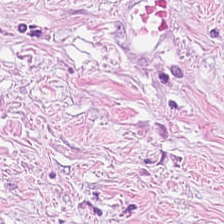H&E stain · 224×224 px tile — Cancer-associated stroma.
